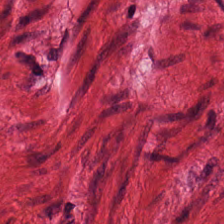H&E-stained tissue section · FFPE · 224×224 px tile. The tissue here is smooth muscle.
